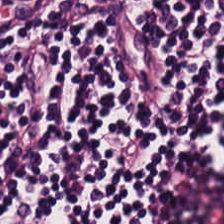Hematoxylin and eosin · 224×224 pixel tile.
Showing lymphocyte aggregate.
